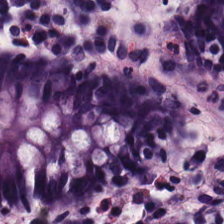Stain: hematoxylin and eosin.
Preparation: formalin-fixed paraffin-embedded section.
Tissue class: normal colon mucosa.
